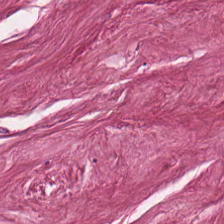Finding — tumor stroma.
